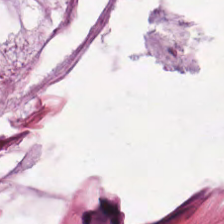H&E-stained tissue section. The predominant tissue is mucus.
